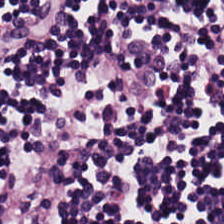The tissue is lymphocytic infiltrate.
